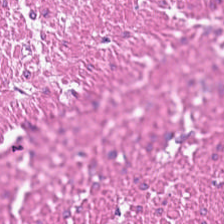H&E stain. The predominant tissue is muscularis.
